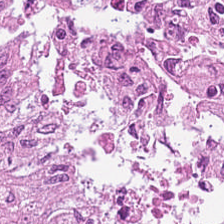H&E.
The predominant tissue is colorectal adenocarcinoma epithelium.
